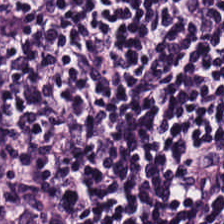Q: What type of tissue is this?
A: Lymphocytes.
